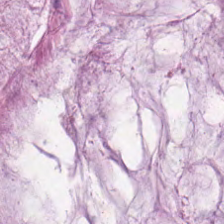Q: What tissue type is shown here?
A: This is mucus.
